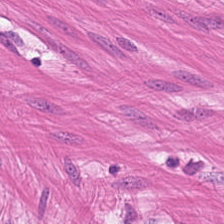The tissue is smooth-muscle tissue.
